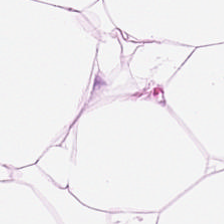Q: What is the predominant tissue type?
A: It is adipocytes.
